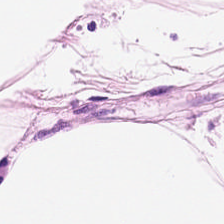H&E-stained tissue section.
Finding → adipose.
